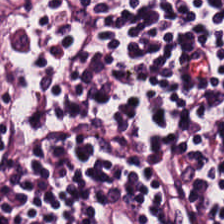Classification = lymphoid infiltrate.
